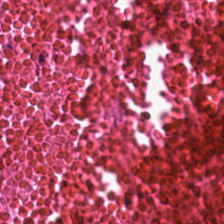Hematoxylin-and-eosin stained section. Q: What is shown here?
A: It is necrotic debris.
